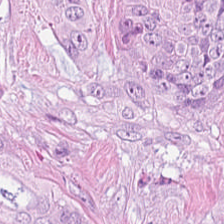Tissue class: tumor epithelium.
